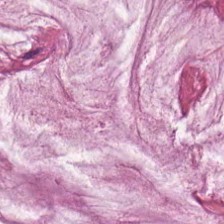This patch shows extracellular mucin.
